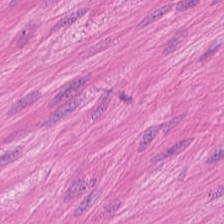H&E.
The tissue here is muscularis.
